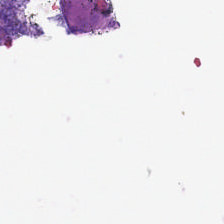Classification = background (no tissue).
